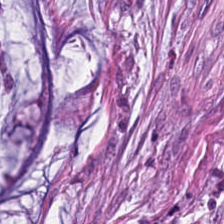H&E-stained tissue section. Predominant tissue — mucus.
